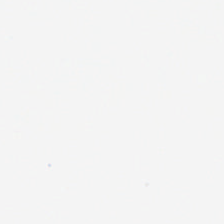Hematoxylin-and-eosin stained section. Q: Classify this patch.
A: This is empty background.
